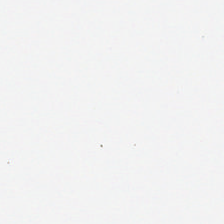Background — no tissue in this field.
